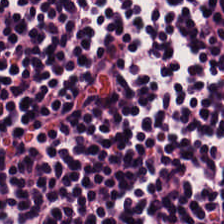H&E-stained tissue section. Whole-slide-image patch. Q: What type of tissue is this?
A: Lymphocytic infiltrate.
